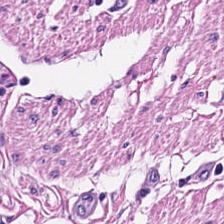Whole-slide-image patch · H&E.
Tissue class — smooth muscle.
